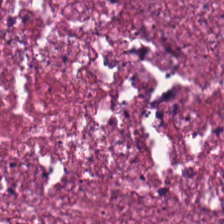Hematoxylin and eosin.
Tissue class: cellular debris.
